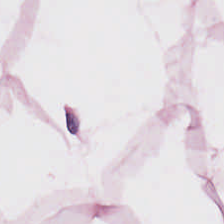Stain: hematoxylin-and-eosin stained section.
Classification: adipose tissue.
